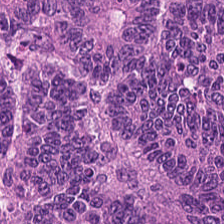0.5 µm per pixel. H&E.
Q: What tissue is shown?
A: This is adenocarcinoma.
